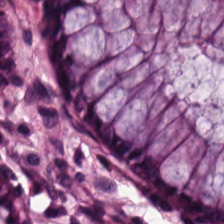Non-neoplastic colon mucosa.
